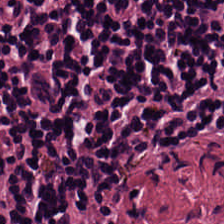Hematoxylin and eosin. Lymphocyte aggregate.
